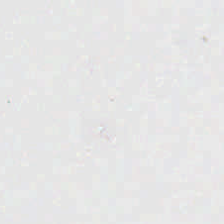H&E stain — Classification: background (no tissue).
